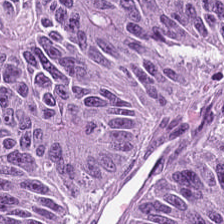FFPE tissue section. Hematoxylin and eosin.
The predominant tissue is colorectal adenocarcinoma.
